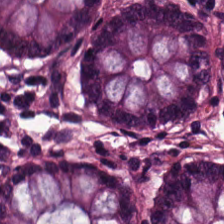Stain: hematoxylin and eosin.
Classification: benign colonic mucosa.
